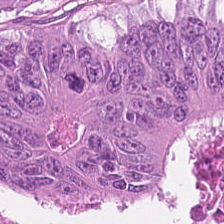224×224 pixel tile; H&E stain. The tissue here is tumor epithelium.
